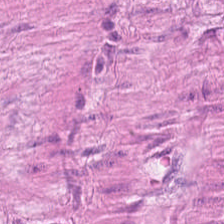Hematoxylin-and-eosin section: smooth-muscle tissue.
